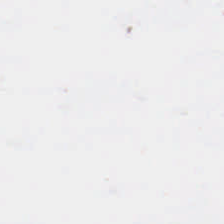Background — no tissue in this field.
